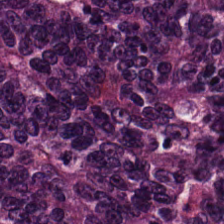H&E-stained tissue section. Predominant tissue — tumor epithelium.
